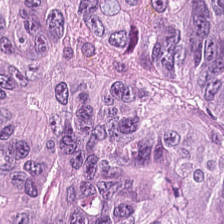{"tissue_type": "tumor epithelium"}
